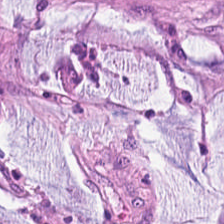H&E stain; WSI patch. Showing extracellular mucin.
